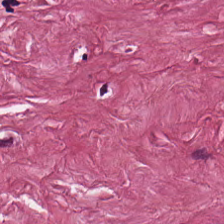Hematoxylin and eosin — Cancer-associated stroma.
